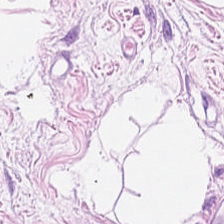H&E — Histology — fat tissue.
